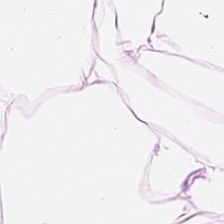Adipose tissue.
